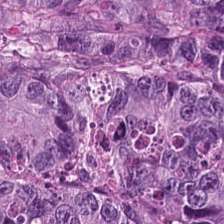H&E-stained tissue section showing tumor epithelium.
